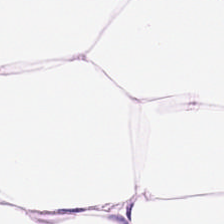H&E-stained tissue section — Fat tissue.
